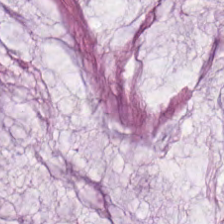20× equivalent magnification; hematoxylin and eosin. Mucin.
